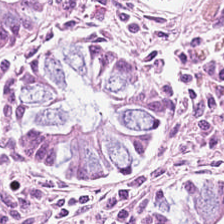Hematoxylin and eosin · whole-slide-image patch. The classification is normal colon mucosa.
